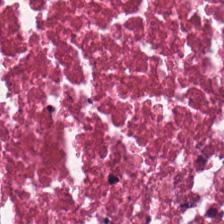H&E-stained tissue section. {"tissue_type": "debris"}
